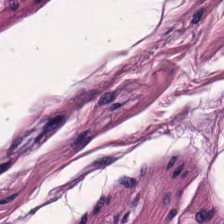H&E stain.
Q: What is the predominant tissue type?
A: Smooth muscle.
